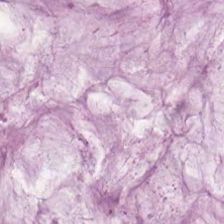Showing extracellular mucin.
